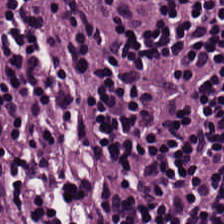Hematoxylin-and-eosin section: lymphoid infiltrate.
